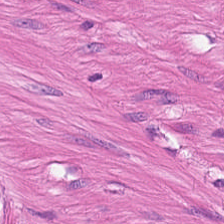H&E-stained tissue section. {"tissue_type": "smooth muscle"}
